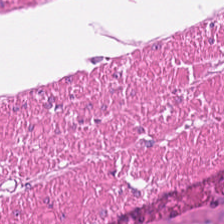H&E-stained section; the field shows smooth muscle.
